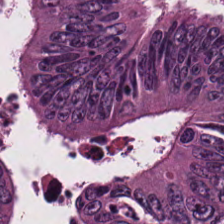0.5 µm per pixel; hematoxylin-and-eosin stained section. The tissue here is malignant epithelium.
